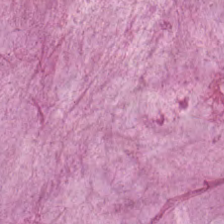Showing extracellular mucin.
